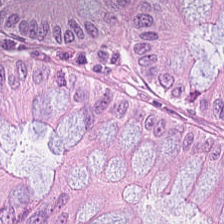Stain: hematoxylin-and-eosin stained section.
Predominant tissue: normal colonic mucosa.
